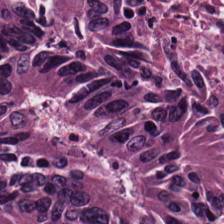H&E stain.
Impression — malignant epithelium.
